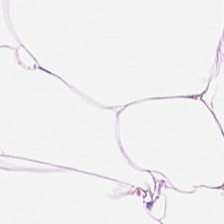H&E-stained tissue section — Showing adipocytes.
